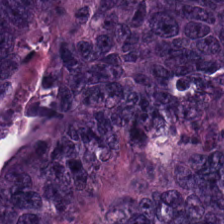{"tissue_type": "adenocarcinoma"}
